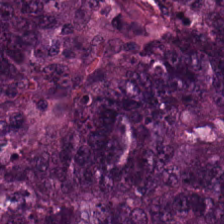Hematoxylin-and-eosin stained section — The predominant tissue is colorectal adenocarcinoma epithelium.
